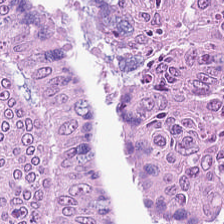Q: What does this patch show?
A: It is malignant epithelium.
